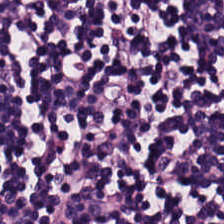H&E stain — The tissue is lymphocytic infiltrate.
